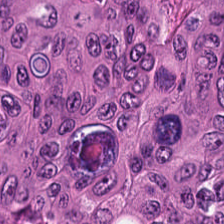Stain: H&E.
Tissue: colorectal adenocarcinoma epithelium.
